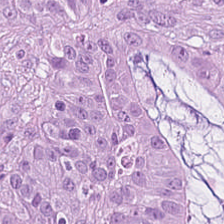Hematoxylin-and-eosin stained section. Showing colorectal adenocarcinoma epithelium.
